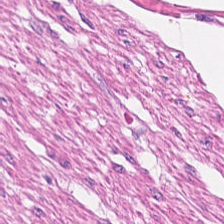Hematoxylin-and-eosin stained section — Q: What is shown in this field?
A: It is muscularis.
